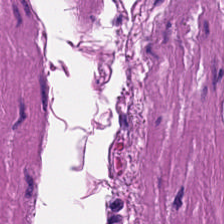Impression → muscularis.
